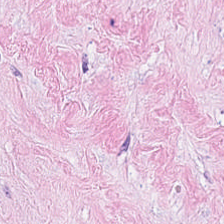Tissue: cancer-associated stroma.
